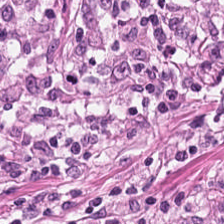FFPE · 0.5 microns per pixel · H&E-stained tissue section.
Classification: cancer-associated stroma.
